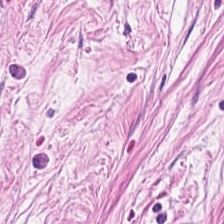Histology — tumor stroma.
